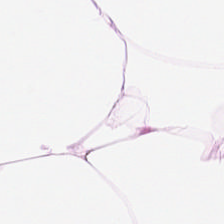H&E. Predominant tissue: adipocytes.
